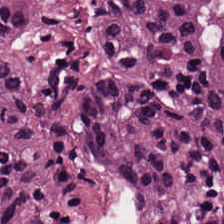224×224 px tile. Hematoxylin-and-eosin stained section — Predominant tissue: colorectal adenocarcinoma epithelium.
